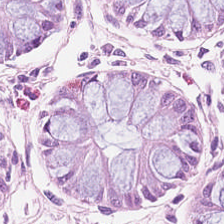H&E. Predominantly non-neoplastic colon mucosa.
